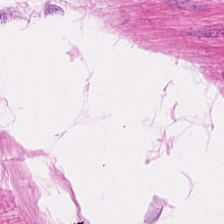H&E stain — The predominant tissue is smooth-muscle tissue.
